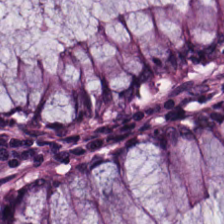0.5 µm per pixel; H&E stain — Showing benign colonic mucosa.
